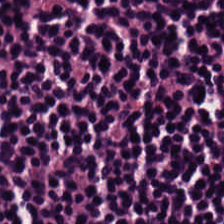Stain: hematoxylin-and-eosin stained section.
Acquisition: whole-slide-image patch.
Tissue: lymphoid infiltrate.
